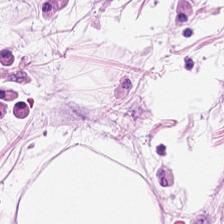Q: What is shown here?
A: This is adipose tissue.
